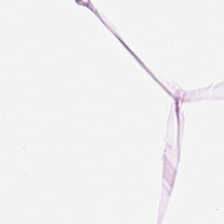H&E. Predominant tissue = adipose tissue.
